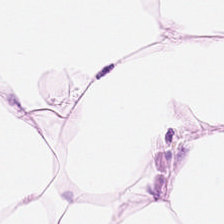H&E-stained tissue section — Predominantly adipose.
